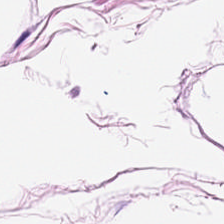H&E. 224×224 pixel tile — Fat tissue.
